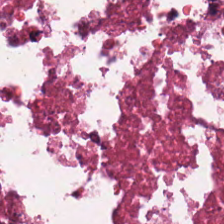H&E-stained tissue section — The predominant tissue is debris.
